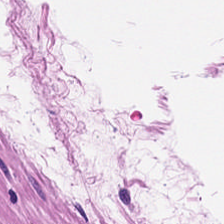Stain: hematoxylin-and-eosin stained section.
Classification: smooth muscle.
